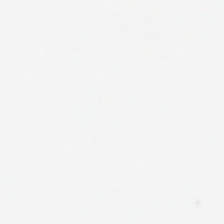Histology — no tissue.
